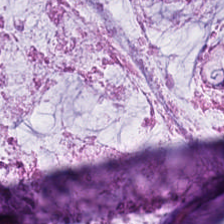Stain: H&E-stained tissue section.
Tissue class: mucus.
